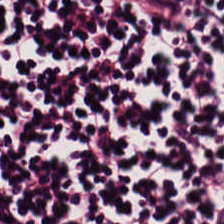H&E stain.
Predominant tissue — lymphoid infiltrate.
